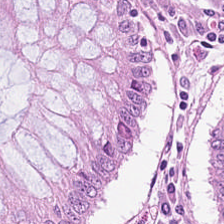Histology → normal colon mucosa.
